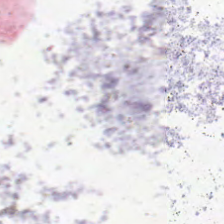224×224 pixel tile · FFPE · hematoxylin-and-eosin stained section.
Empty background.
